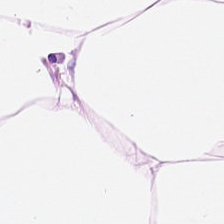FFPE tissue section · H&E stain · 20× equivalent magnification. The tissue is adipose.
